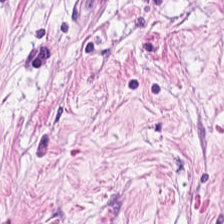Tissue = tumor stroma.
